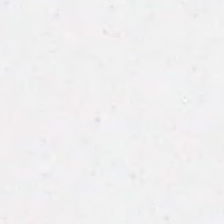H&E-stained tissue section. WSI patch.
This field is background (no tissue).
